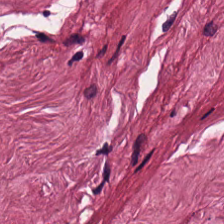Hematoxylin-and-eosin stained section. WSI patch — Predominantly tumor stroma.
